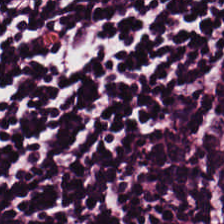Hematoxylin-and-eosin stained section. Whole-slide-image patch. Q: What is shown in this field?
A: Lymphocytic infiltrate.
